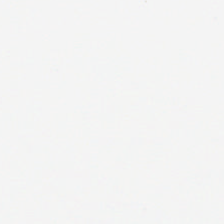H&E; whole-slide-image patch. No tissue present; background only.
